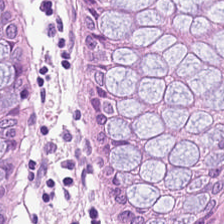H&E stain; 20× equivalent magnification; 224×224 px patch.
This field is non-neoplastic colon mucosa.
